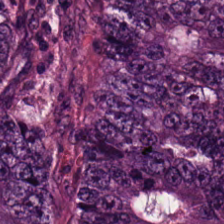H&E-stained tissue section — {"tissue_type": "colorectal adenocarcinoma"}
